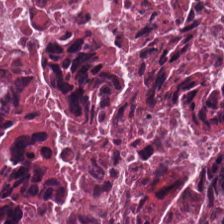Hematoxylin and eosin.
This patch shows cellular debris.
